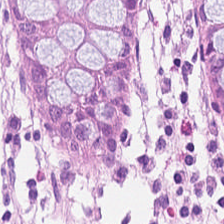Q: What is the predominant tissue type?
A: It is normal colonic mucosa.
